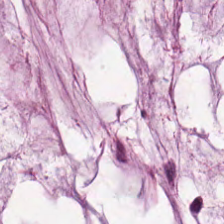Q: What is shown in this field?
A: The field shows mucin.
